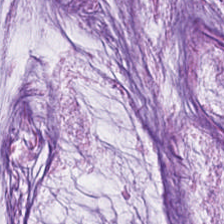Impression → extracellular mucin.
